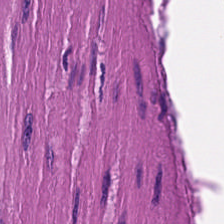Stain: hematoxylin-and-eosin stained section.
Tissue type: muscularis.
